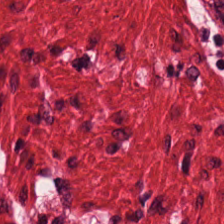The predominant tissue is muscularis.
